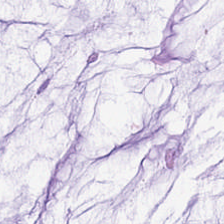Brightfield · H&E.
Mucin.
